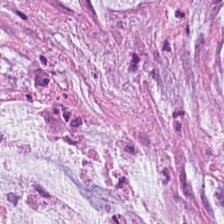224×224 pixel tile · H&E. Mucin.
